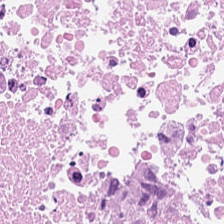Stain: H&E.
Predominant tissue: necrotic debris.
